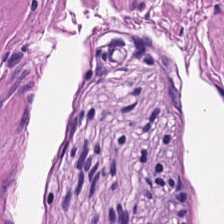H&E stain. Predominant tissue — smooth-muscle tissue.
